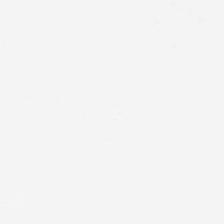Hematoxylin-and-eosin stained section — Empty field — background.
